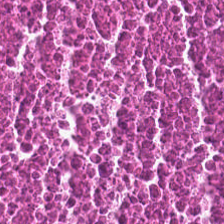0.5 µm/px; H&E-stained tissue section — The tissue type is debris.
